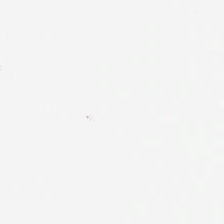The field content is background (no tissue).
